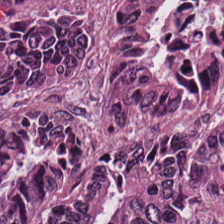Stain: hematoxylin-and-eosin stained section.
Preparation: FFPE.
Tissue type: adenocarcinoma.
